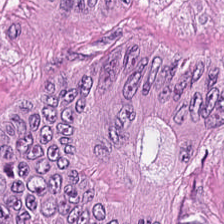H&E patch showing adenocarcinoma.
